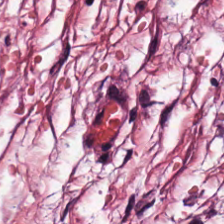Formalin-fixed paraffin-embedded section. H&E-stained tissue section. 0.5 microns per pixel — Finding — desmoplastic stroma.
